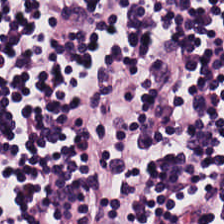Hematoxylin-and-eosin stained section. This field is lymphocytic infiltrate.
